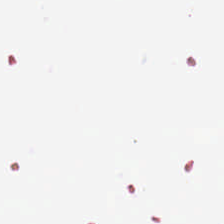Hematoxylin and eosin.
The field content is background (no tissue).
